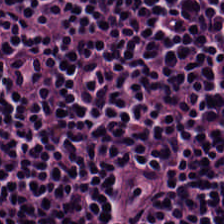Stain: hematoxylin-and-eosin stained section.
Preparation: FFPE tissue section.
Tissue class: lymphocytes.
